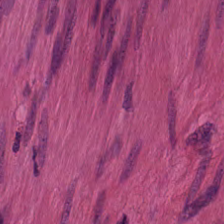H&E — This field is smooth-muscle tissue.
